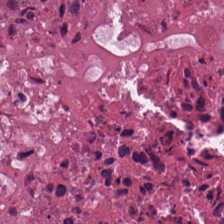20× equivalent magnification; H&E. The tissue class is cellular debris.
